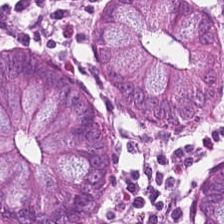Formalin-fixed paraffin-embedded section · H&E stain. Impression → normal colonic mucosa.
